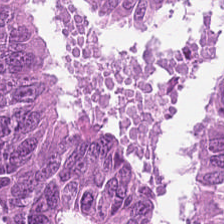H&E stain · whole-slide-image patch — The tissue type is malignant epithelium.
